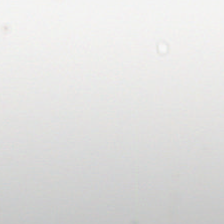Hematoxylin and eosin · 0.5 µm per pixel · formalin-fixed paraffin-embedded section.
Field content = background (no tissue).
